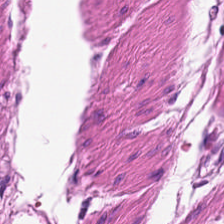224×224 px tile · hematoxylin and eosin.
The tissue is smooth-muscle tissue.
